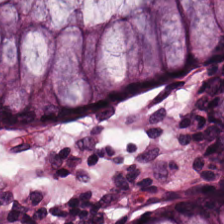Hematoxylin-and-eosin stained section.
This field is benign colonic mucosa.
